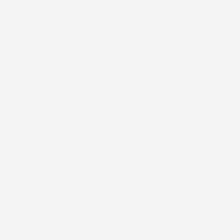224×224 px tile · H&E-stained tissue section · FFPE tissue section. Classification: no tissue.
